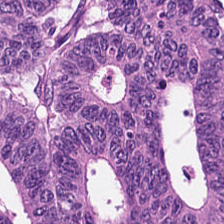H&E-stained section; the field shows colorectal adenocarcinoma epithelium.
